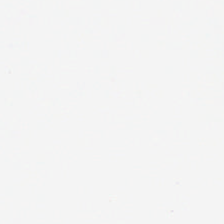Hematoxylin-and-eosin stained section — Content: no tissue.
